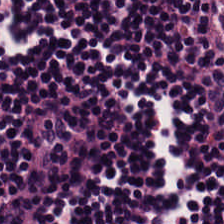Hematoxylin-and-eosin stained section · whole-slide-image patch — Lymphocyte aggregate.
